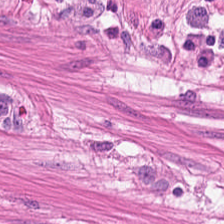20× equivalent magnification; H&E stain.
Predominantly smooth muscle.
